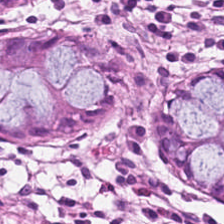The tissue here is non-neoplastic colon mucosa.
